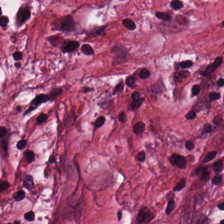224×224 px patch. H&E stain — The classification is desmoplastic stroma.
